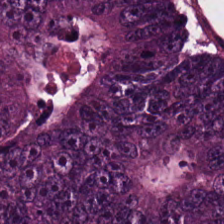Tissue type: adenocarcinoma.
